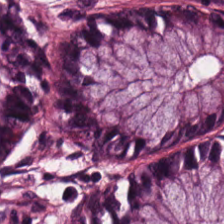Hematoxylin and eosin. Finding — normal colon mucosa.
